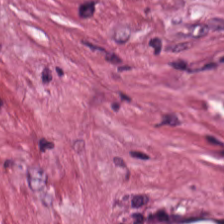H&E-stained tissue section · 224×224 px patch.
{"tissue_type": "tumor stroma"}
